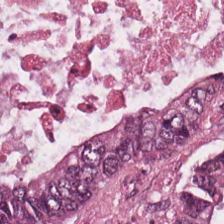FFPE tissue section · 0.5 µm/px · H&E. This patch shows colorectal adenocarcinoma epithelium.
